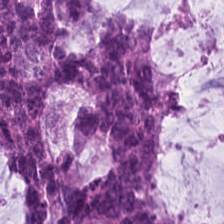H&E.
The predominant tissue is mucin.
